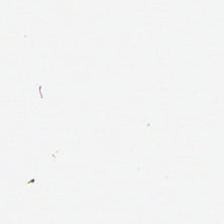Hematoxylin and eosin. This field is background (no tissue).
